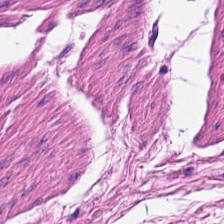H&E-stained tissue section · 224×224 pixel tile. Impression → smooth-muscle tissue.
